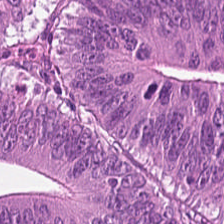The predominant tissue is adenocarcinoma.
